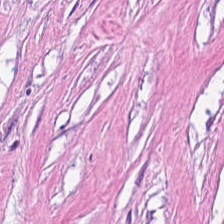Q: What tissue is shown?
A: Tumor stroma.
